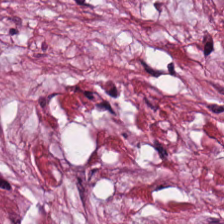H&E stain · 224×224 px tile — The classification is tumor-associated stroma.
